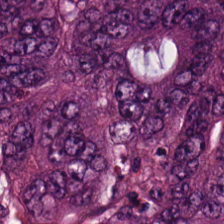H&E-stained tissue section. Tumor epithelium.
